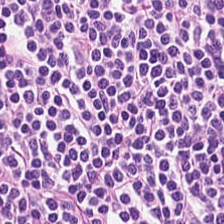WSI patch; H&E.
Q: What does this patch show?
A: The field shows lymphocytic infiltrate.
